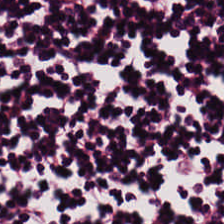Q: What tissue type is shown here?
A: The field shows lymphoid infiltrate.
